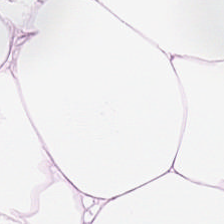H&E stain.
Histology → adipocytes.
